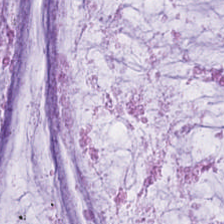Formalin-fixed paraffin-embedded section; 0.5 µm/px; hematoxylin and eosin.
The predominant tissue is mucin.
